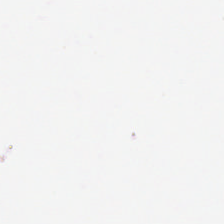Stain: H&E-stained tissue section.
Classification: background (no tissue).
